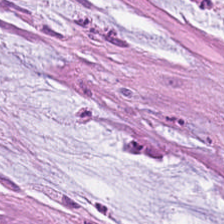H&E — Mucin.
